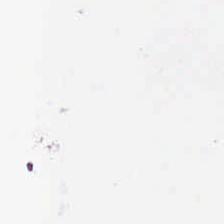This field is background (no tissue).
